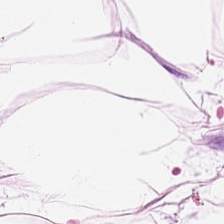FFPE tissue section. 224×224 pixel tile. H&E-stained tissue section.
{"tissue_type": "adipose tissue"}
